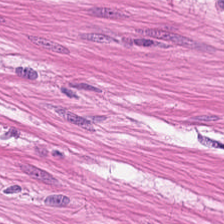Q: What is the predominant tissue type?
A: Smooth muscle.
